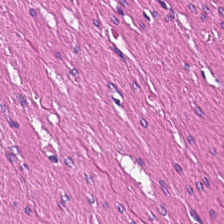The tissue here is smooth muscle.
